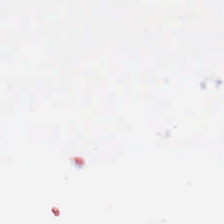H&E — Background — no tissue in this field.
